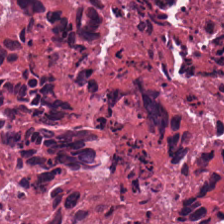Hematoxylin-and-eosin stained section. Tissue type — cellular debris.
